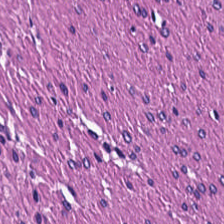H&E.
Q: What tissue is shown?
A: This is smooth muscle.
